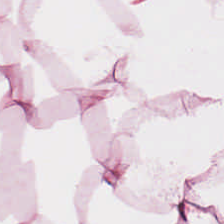Stain: hematoxylin-and-eosin stained section.
Classification: adipose tissue.
